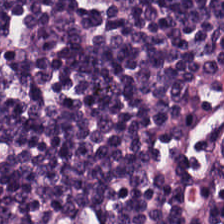Hematoxylin-and-eosin stained section; 224×224 px patch.
Q: What tissue is shown?
A: It is lymphocytes.
